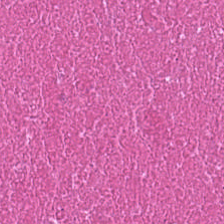20× equivalent magnification · H&E.
Histology — necrotic debris.
